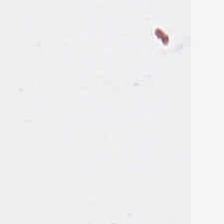Hematoxylin and eosin; 224×224 pixel tile; 0.5 microns per pixel — Content — background.
